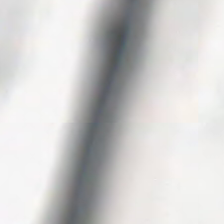Stain: H&E-stained tissue section.
Preparation: FFPE.
Field content: no tissue.
